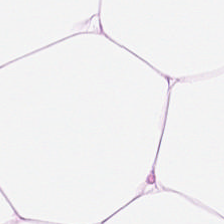H&E-stained tissue section — Predominantly adipose.
